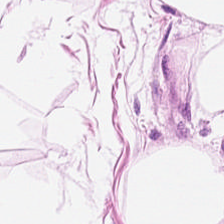Stain: hematoxylin and eosin.
Preparation: formalin-fixed paraffin-embedded section.
Acquisition: WSI patch.
Predominant tissue: adipocytes.
